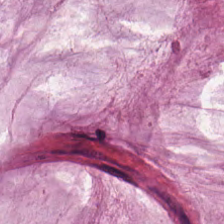WSI patch; H&E.
Tissue class = extracellular mucin.
